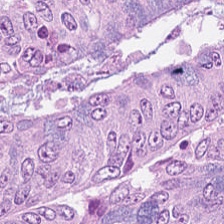Tissue class = colorectal adenocarcinoma epithelium.
